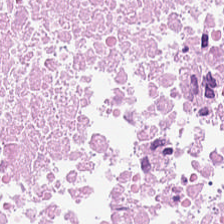Stain: hematoxylin and eosin.
Preparation: formalin-fixed paraffin-embedded section.
Predominant tissue: cellular debris.
